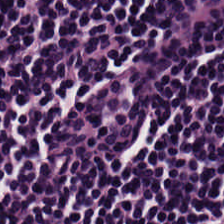Whole-slide-image patch. Hematoxylin and eosin — Histology → lymphocytic infiltrate.
